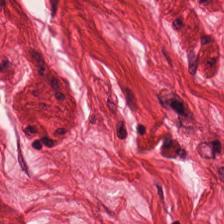Hematoxylin and eosin; 224×224 pixel tile.
Tissue = muscularis.
